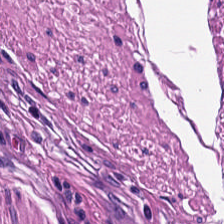H&E stain; whole-slide-image patch.
Finding — muscularis.
